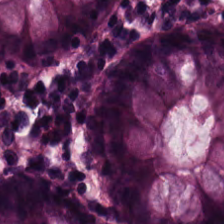Hematoxylin-and-eosin stained section — This patch shows normal colon mucosa.
